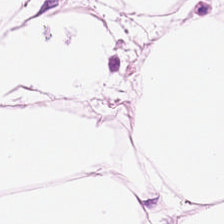Hematoxylin and eosin — This patch shows fat tissue.
